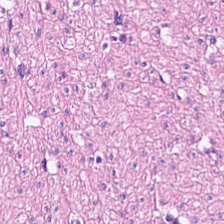H&E-stained tissue section. Finding → smooth-muscle tissue.
